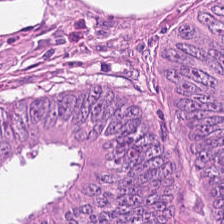Hematoxylin-and-eosin stained section. 224×224 pixel tile.
{"tissue_type": "colorectal adenocarcinoma"}
